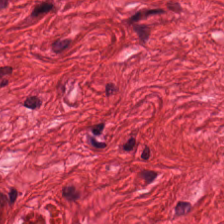Brightfield microscopy; H&E. Q: What is the predominant tissue type?
A: Smooth muscle.
